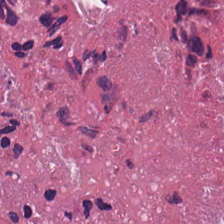Stain: hematoxylin-and-eosin stained section.
Tissue type: necrotic debris.
